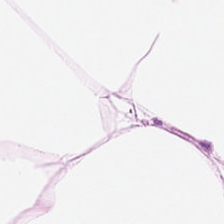H&E-stained tissue section. Finding → adipocytes.
